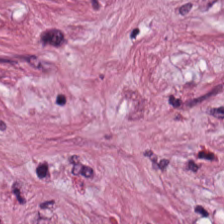Q: Classify this patch.
A: This is tumor-associated stroma.
